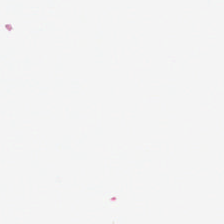Stain: H&E stain.
Content: background (no tissue).
